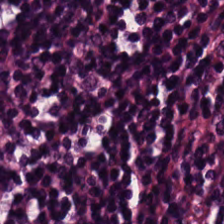FFPE tissue section · H&E-stained tissue section. The predominant tissue is lymphocytes.
